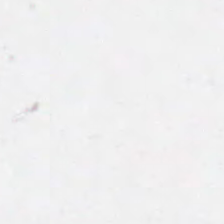Hematoxylin-and-eosin stained section · 0.5 µm/px. Q: Classify this patch.
A: The field shows empty background.
